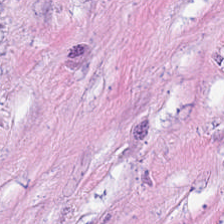WSI patch · hematoxylin-and-eosin stained section · 0.5 µm/px — Predominantly tumor-associated stroma.
